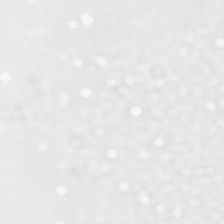224×224 px tile · formalin-fixed paraffin-embedded section · hematoxylin and eosin — Field content — background (no tissue).
